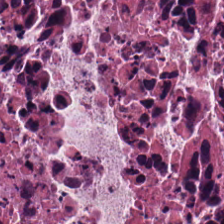0.5 microns per pixel; brightfield microscopy; H&E-stained tissue section.
Tissue = debris.
